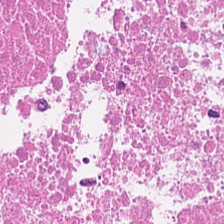Tissue: necrotic debris.
